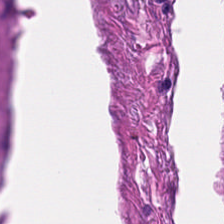Whole-slide-image patch · H&E stain · 224×224 px tile. Finding — smooth-muscle tissue.
